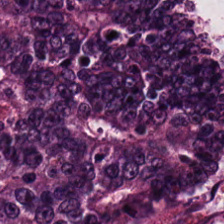H&E-stained tissue section. 224×224 px patch — The predominant tissue is colorectal adenocarcinoma epithelium.
